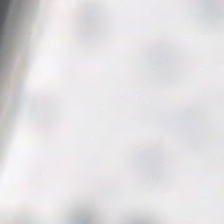FFPE tissue section. H&E. Brightfield microscopy.
Q: What is shown here?
A: The field shows empty background.
